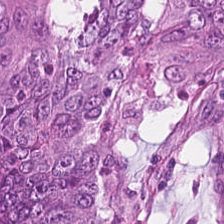H&E-stained tissue section. {"tissue_type": "tumor epithelium"}
